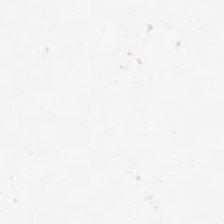H&E — Content: background.
